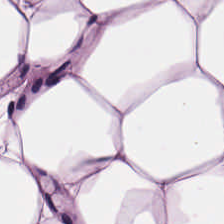This field is adipose tissue.
